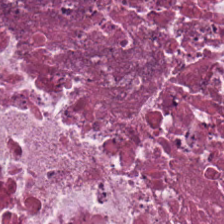Formalin-fixed paraffin-embedded section; H&E; whole-slide-image patch. The predominant tissue is necrotic debris.
